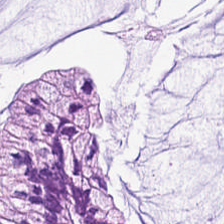H&E — extracellular mucin.
